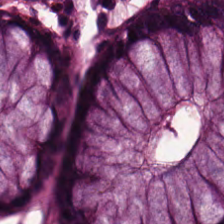Hematoxylin and eosin.
Histology → non-neoplastic colon mucosa.
